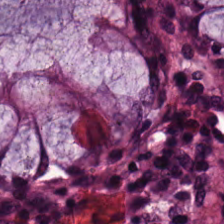Stain: H&E-stained tissue section.
Tile size: 224×224 px patch.
Predominant tissue: normal colon mucosa.
